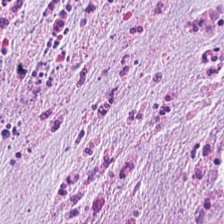The predominant tissue is tumor stroma.
